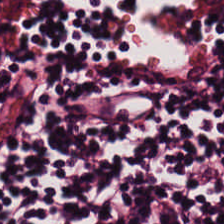Tissue type — lymphocytes.
